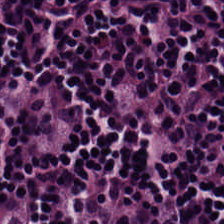H&E — Q: What is the predominant tissue type?
A: The field shows lymphocytes.
